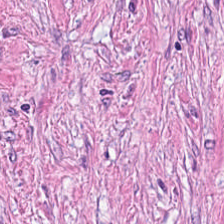224×224 pixel tile. H&E stain — Q: Identify the tissue.
A: This is tumor-associated stroma.
